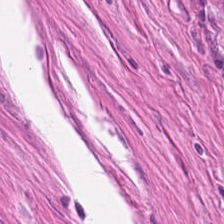H&E stain; WSI patch.
Q: What tissue type is shown here?
A: It is muscularis.
